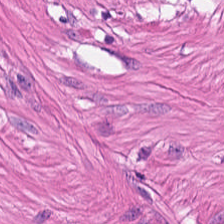Hematoxylin and eosin. Showing smooth-muscle tissue.
